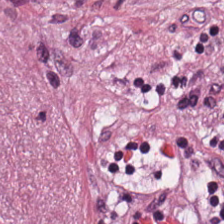Hematoxylin-and-eosin stained section. 224×224 px tile. The predominant tissue is tumor-associated stroma.
